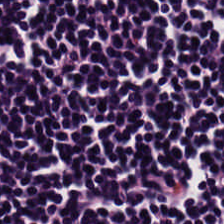Classification — lymphoid infiltrate.
